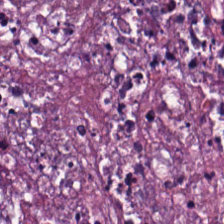H&E. Tissue class: necrotic debris.
